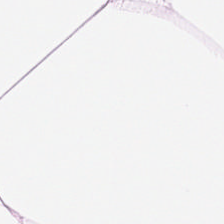Hematoxylin-and-eosin section: fat tissue.
